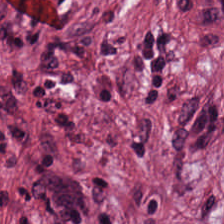H&E — Predominant tissue — desmoplastic stroma.
